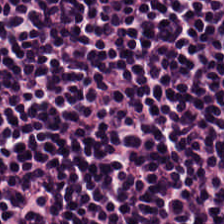Q: What tissue type is shown here?
A: The field shows lymphocytes.
